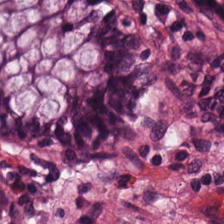H&E stain. WSI patch.
Tissue class: normal colonic mucosa.
